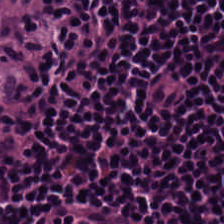H&E; 224×224 px patch. Impression — lymphocytes.
